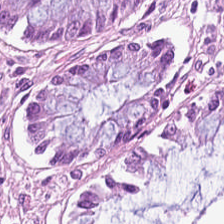Q: Identify the tissue.
A: This is normal colon mucosa.
